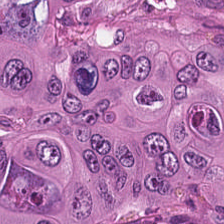Stain: hematoxylin-and-eosin stained section.
Classification: colorectal adenocarcinoma epithelium.
